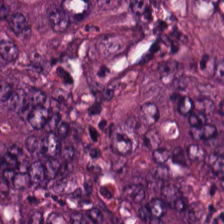Tissue class = colorectal adenocarcinoma.
